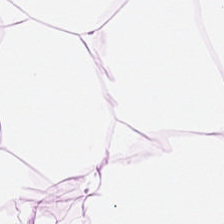Q: Identify the tissue.
A: Adipose tissue.
